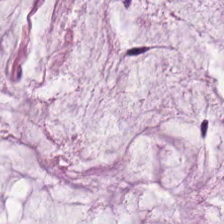FFPE. Hematoxylin-and-eosin stained section. Brightfield microscopy — Q: What tissue is shown?
A: This is mucus.
